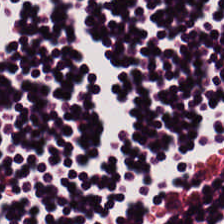This field is lymphoid infiltrate.
